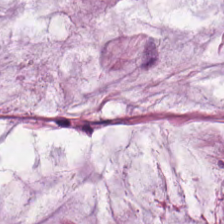Hematoxylin and eosin. This patch shows extracellular mucin.
